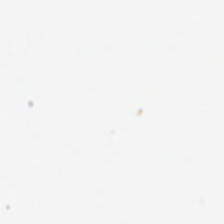Stain: H&E stain.
Field content: background.
